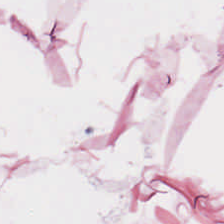Stain: hematoxylin-and-eosin stained section.
Resolution: 0.5 microns per pixel.
Predominant tissue: adipocytes.
